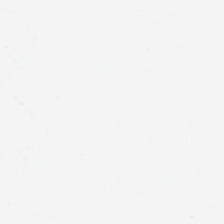Whole-slide-image patch · hematoxylin-and-eosin stained section. Impression → background.
